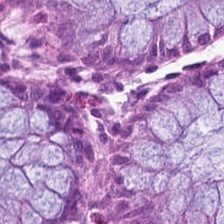H&E-stained tissue section.
Tissue class: normal colonic mucosa.
